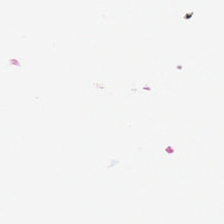Formalin-fixed paraffin-embedded section. 0.5 µm/px. H&E-stained tissue section.
The field content is empty background.
